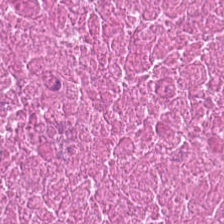Hematoxylin and eosin. 0.5 µm/px. Whole-slide-image patch. Finding — necrotic debris.
